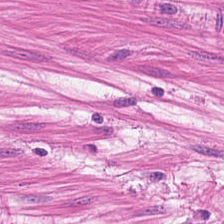H&E stain. 224×224 px patch. Formalin-fixed paraffin-embedded section. Q: What does this patch show?
A: This is muscularis.
